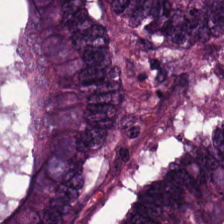The tissue here is malignant epithelium.
